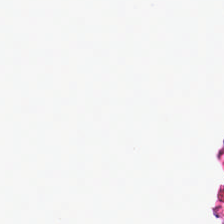Hematoxylin and eosin · formalin-fixed paraffin-embedded section — This patch shows background (no tissue).
